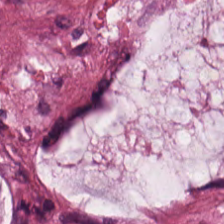Stain: hematoxylin and eosin.
Preparation: FFPE tissue section.
Acquisition: brightfield.
Tissue type: extracellular mucin.
